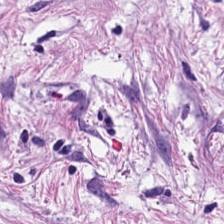H&E-stained tissue section; 224×224 px tile — {"tissue_type": "tumor stroma"}
